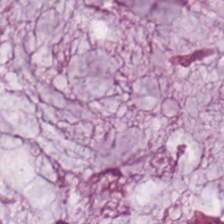Hematoxylin-and-eosin stained section. 224×224 pixel tile — Q: What tissue is shown?
A: The field shows mucus.
